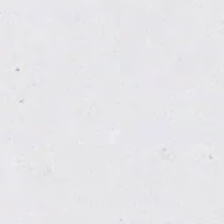Brightfield. H&E. 224×224 pixel tile. Background — no tissue in this field.
